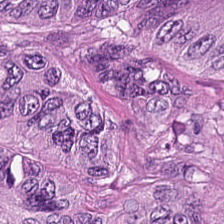Hematoxylin and eosin — Impression → colorectal adenocarcinoma epithelium.
